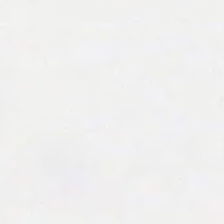H&E-stained tissue section — The classification is background (no tissue).
